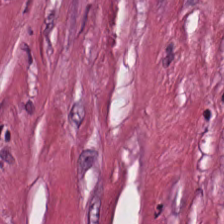Tissue class: tumor stroma.
